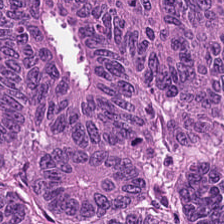Hematoxylin and eosin · brightfield microscopy. The tissue is adenocarcinoma.
